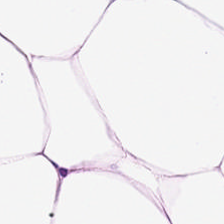Hematoxylin and eosin.
The predominant tissue is adipocytes.
